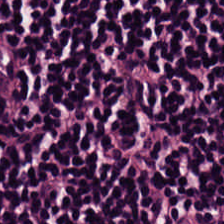H&E — Tissue type: lymphocytic infiltrate.
